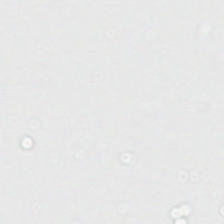0.5 microns per pixel · H&E-stained tissue section.
The field content is background (no tissue).
